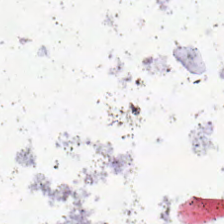Classification = empty background.
